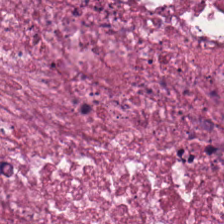H&E stain — Impression → necrotic debris.
